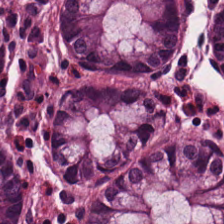Hematoxylin and eosin — Impression — normal colonic mucosa.
